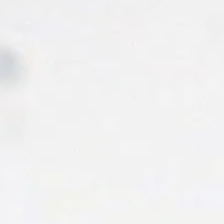Content = background.
